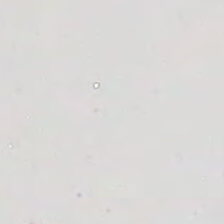Hematoxylin and eosin; FFPE.
No tissue.
